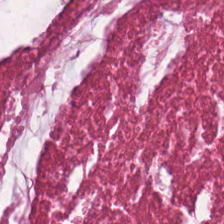Q: Identify the tissue.
A: The field shows debris.
